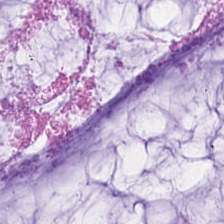Stain: hematoxylin and eosin.
Classification: mucus.
